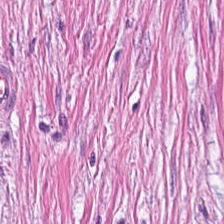WSI patch. Hematoxylin-and-eosin stained section — {"tissue_type": "tumor stroma"}
